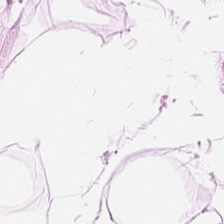0.5 microns per pixel; hematoxylin and eosin.
The tissue here is adipose.
